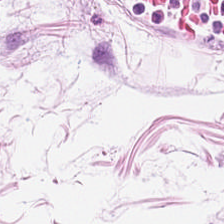Hematoxylin-and-eosin section: fat tissue.
